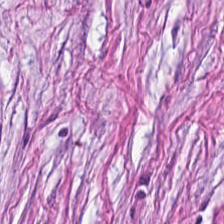FFPE tissue section · H&E-stained tissue section · 224×224 pixel tile — Predominantly tumor-associated stroma.
